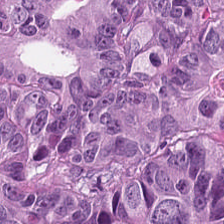Stain: hematoxylin-and-eosin stained section.
Resolution: 20× equivalent magnification.
Classification: adenocarcinoma.
